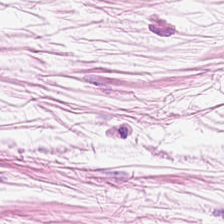Hematoxylin and eosin — Tissue type: adipose tissue.
